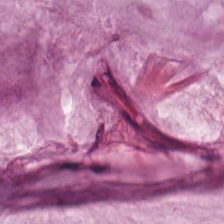Hematoxylin-and-eosin stained section.
Predominant tissue: extracellular mucin.
